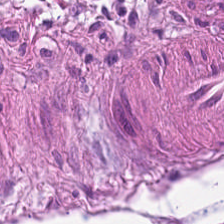WSI patch · hematoxylin and eosin · FFPE. Tissue type — muscularis.
